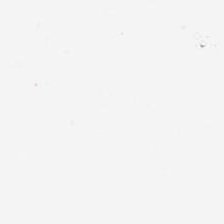Stain: H&E.
Classification: background.
